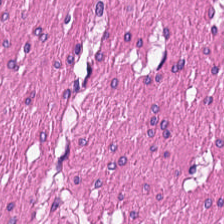Formalin-fixed paraffin-embedded section; H&E — {"tissue_type": "smooth-muscle tissue"}
